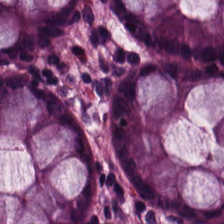Histology — benign colonic mucosa.
